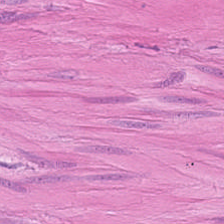Hematoxylin-and-eosin stained section.
The tissue is smooth-muscle tissue.
